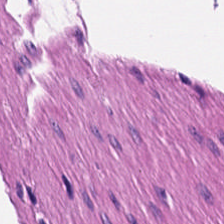Hematoxylin and eosin — Q: What does this patch show?
A: The field shows smooth-muscle tissue.
